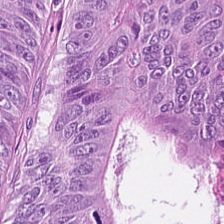Hematoxylin-and-eosin section: malignant epithelium.
